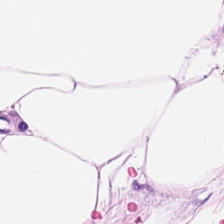Hematoxylin and eosin; FFPE — Q: What tissue is shown?
A: It is adipose tissue.
